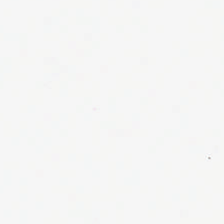Hematoxylin and eosin — This field is background (no tissue).
